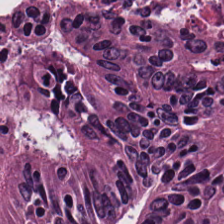0.5 µm/px; hematoxylin-and-eosin stained section — Tissue type — tumor epithelium.
